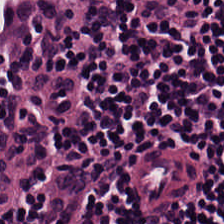Hematoxylin and eosin · 0.5 microns per pixel.
Histology → lymphocytic infiltrate.
